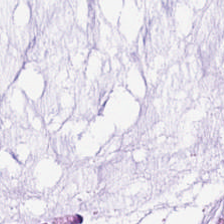Hematoxylin and eosin. 20× equivalent magnification.
Finding — extracellular mucin.
